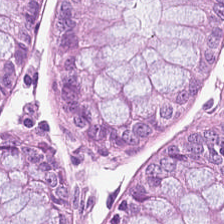Q: Identify the tissue.
A: Normal colonic mucosa.
